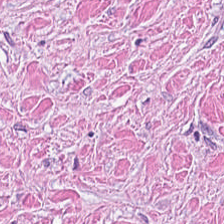H&E — The tissue here is cancer-associated stroma.
